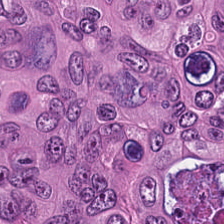Stain: hematoxylin and eosin.
Tissue type: malignant epithelium.
